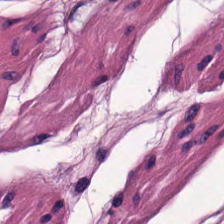H&E stain.
Tissue class — smooth muscle.
